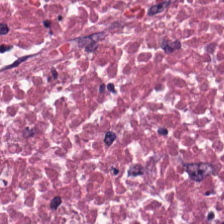Hematoxylin and eosin · 20× equivalent magnification — The tissue here is cellular debris.
